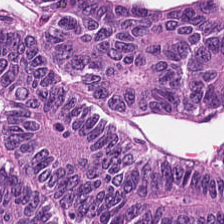H&E stain; 0.5 µm/px — {"tissue_type": "tumor epithelium"}
